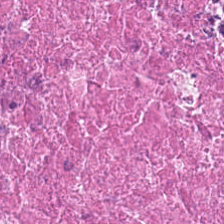Hematoxylin and eosin.
Classification: debris.
